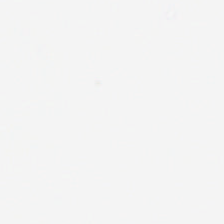Hematoxylin and eosin. Content = no tissue.
